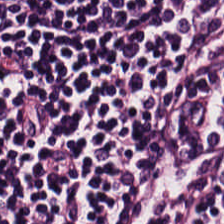H&E stain.
Q: What does this patch show?
A: The field shows lymphoid infiltrate.
